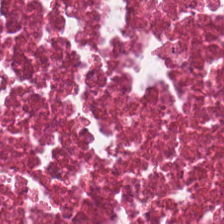Hematoxylin-and-eosin stained section — Cellular debris.
